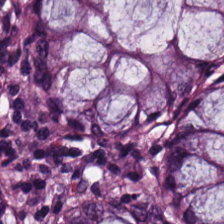H&E-stained tissue section · whole-slide-image patch. {"tissue_type": "benign colonic mucosa"}
